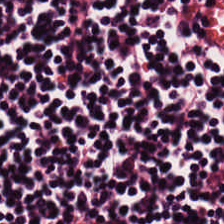The tissue class is lymphocyte aggregate.
